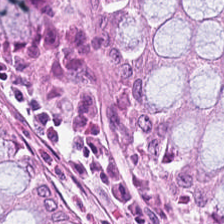Predominant tissue = benign colonic mucosa.
